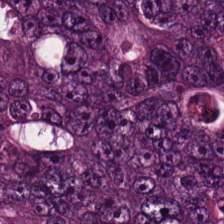Stain: H&E-stained tissue section.
Tissue: colorectal adenocarcinoma.
